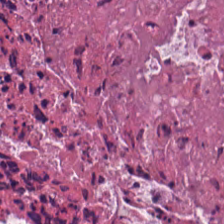H&E stain.
Q: Identify the tissue.
A: It is debris.
